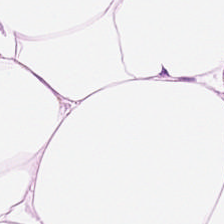WSI patch. H&E-stained tissue section. Formalin-fixed paraffin-embedded section — The tissue class is adipose.
